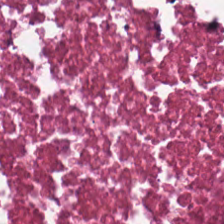FFPE tissue section · H&E.
Histology — necrotic debris.
